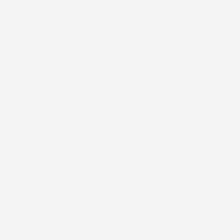224×224 pixel tile; FFPE tissue section; hematoxylin-and-eosin stained section — Background — no tissue in this field.
